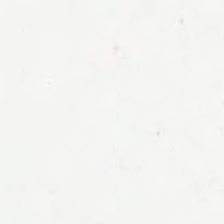Q: What is shown in this field?
A: This is background (no tissue).
